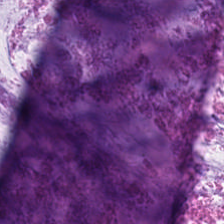Hematoxylin-and-eosin stained section.
Classification — mucus.
